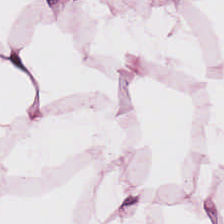Stain: H&E-stained tissue section.
Tissue type: adipose tissue.
